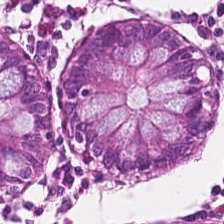Stain: hematoxylin-and-eosin stained section.
Tissue type: normal colonic mucosa.
